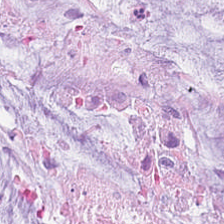H&E-stained tissue section — {"tissue_type": "mucin"}
